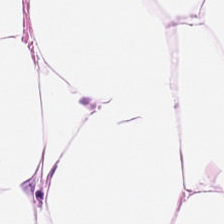Histology → adipocytes.
